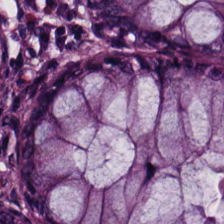FFPE tissue section · WSI patch · H&E. Normal colonic mucosa.
